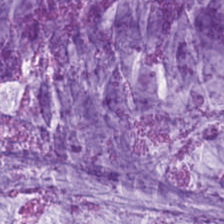Showing mucin.
